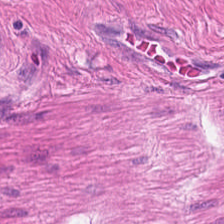Hematoxylin-and-eosin stained section. FFPE tissue section. 224×224 pixel tile.
This field is muscularis.
